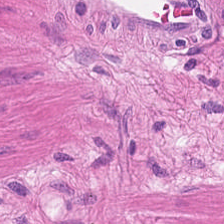Hematoxylin-and-eosin stained section. Formalin-fixed paraffin-embedded section — The predominant tissue is muscularis.
